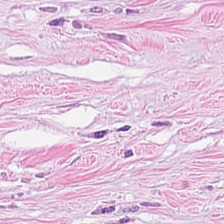FFPE tissue section · hematoxylin and eosin · whole-slide-image patch.
Predominantly tumor-associated stroma.
